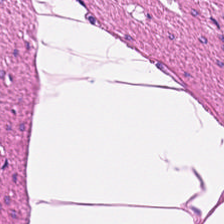Hematoxylin-and-eosin stained section.
Predominant tissue = muscularis.
